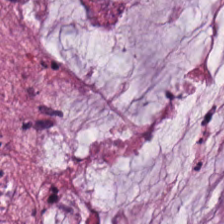Formalin-fixed paraffin-embedded section; H&E stain.
Extracellular mucin.
